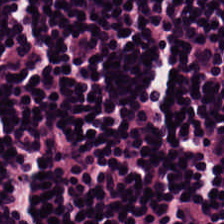H&E-stained tissue section — Impression — lymphocyte aggregate.
